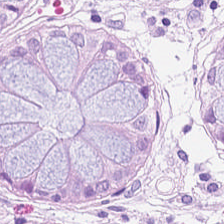224×224 pixel tile; hematoxylin and eosin.
The classification is normal colon mucosa.
